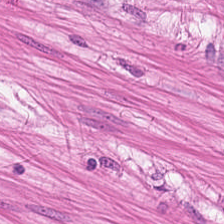H&E stain · 224×224 px patch.
This patch shows muscularis.
